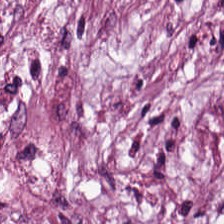224×224 pixel tile · brightfield · H&E stain — Classification = desmoplastic stroma.
